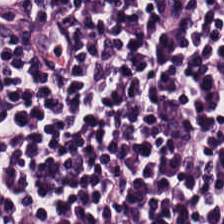0.5 µm per pixel. Hematoxylin and eosin.
This field is lymphoid infiltrate.
